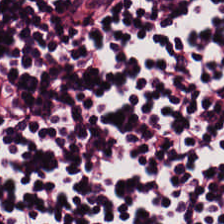Hematoxylin-and-eosin stained section · 0.5 microns per pixel.
Tissue type: lymphoid infiltrate.
